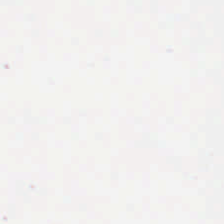Stain: hematoxylin and eosin.
Classification: empty background.
